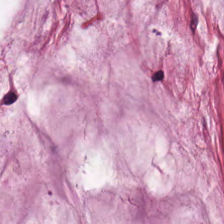WSI patch. H&E. 0.5 microns per pixel — Q: What is shown here?
A: It is extracellular mucin.
